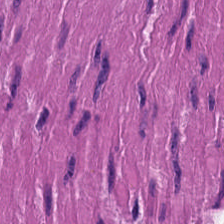Stain: H&E.
Tissue class: smooth-muscle tissue.
